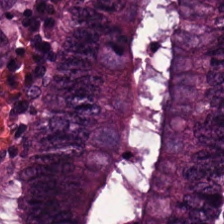H&E-stained tissue section — The tissue here is adenocarcinoma.
